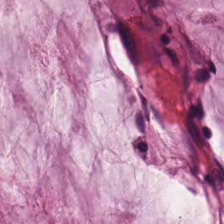H&E.
The tissue is mucus.
